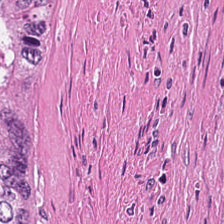Stain: hematoxylin and eosin.
Classification: necrotic debris.
